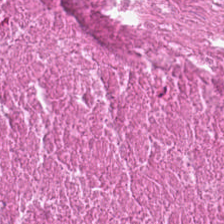FFPE tissue section · brightfield microscopy · H&E. This field is cellular debris.
